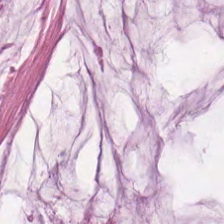224×224 px tile; H&E stain — The tissue here is extracellular mucin.
